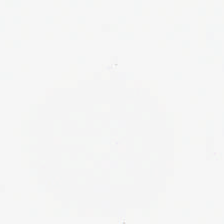Classification = no tissue.
